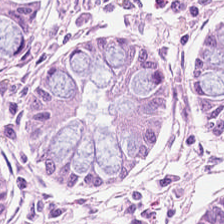H&E stain. Formalin-fixed paraffin-embedded section. This patch shows normal colon mucosa.
